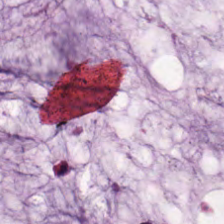H&E stain · FFPE tissue section. Predominantly mucus.
